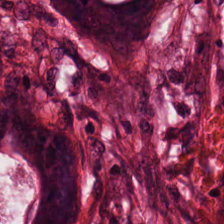H&E.
Q: What does this patch show?
A: It is colorectal adenocarcinoma.
